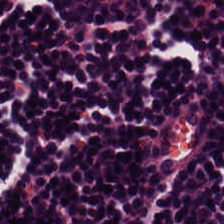20× equivalent magnification; H&E-stained tissue section.
Histology — lymphocytes.
